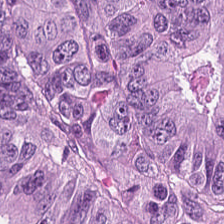Hematoxylin and eosin. 0.5 µm per pixel. Formalin-fixed paraffin-embedded section — Showing adenocarcinoma.
